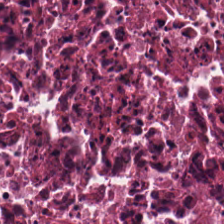The predominant tissue is debris.
